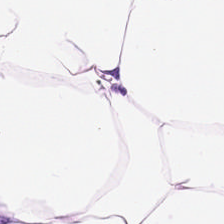224×224 px patch · H&E.
Tissue class: adipose tissue.
